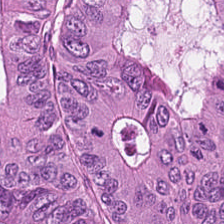20× equivalent magnification. H&E — Impression → colorectal adenocarcinoma epithelium.
